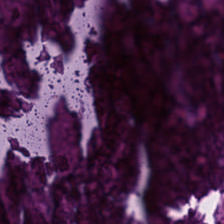WSI patch · hematoxylin-and-eosin stained section. The predominant tissue is cellular debris.
